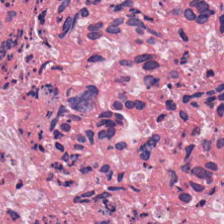The tissue class is cellular debris.
